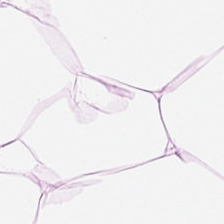0.5 µm/px; H&E — Tissue class: adipose.
